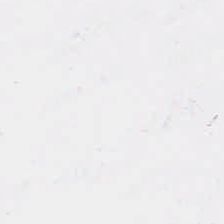Stain: H&E-stained tissue section.
Classification: background.
